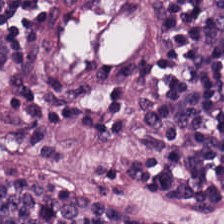224×224 pixel tile. H&E-stained tissue section.
{"tissue_type": "lymphocytes"}
